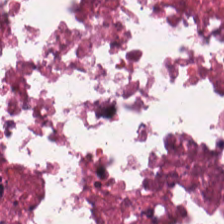H&E stain. Tissue class = necrotic debris.
